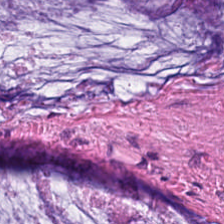Brightfield; hematoxylin and eosin; formalin-fixed paraffin-embedded section.
Predominant tissue — extracellular mucin.
